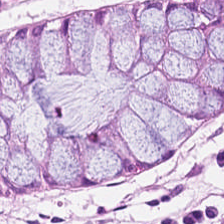FFPE tissue section. H&E-stained tissue section.
Predominantly normal colonic mucosa.
